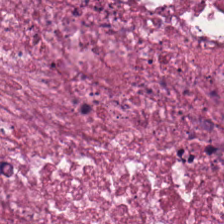H&E-stained section; the field shows necrotic debris.
